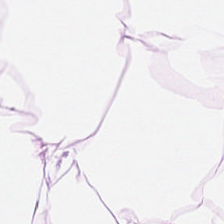Hematoxylin-and-eosin stained section; formalin-fixed paraffin-embedded section; 0.5 microns per pixel.
Tissue type — adipocytes.
